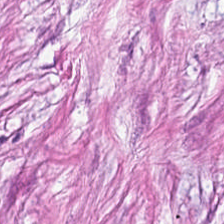Hematoxylin-and-eosin stained section. The predominant tissue is tumor stroma.
